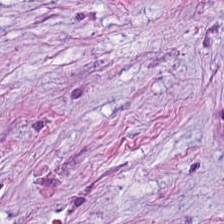0.5 microns per pixel. H&E.
Predominant tissue — cancer-associated stroma.
